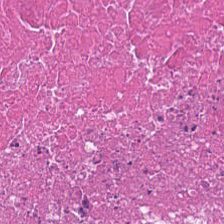Hematoxylin-and-eosin stained section — Debris.
